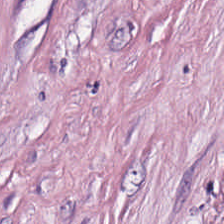H&E — The classification is tumor-associated stroma.
